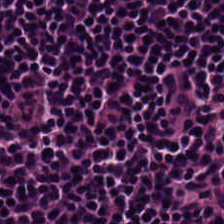Histology → lymphoid infiltrate.
